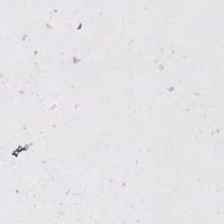H&E-stained tissue section.
Background (no tissue).
